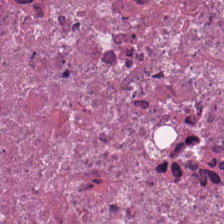Hematoxylin and eosin. Cellular debris.
